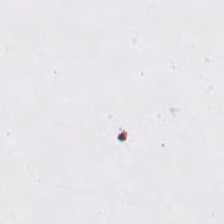H&E.
Q: What is shown here?
A: This is background.
